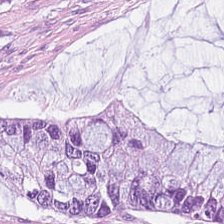Q: What tissue is shown?
A: The field shows mucus.
